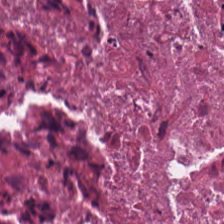0.5 microns per pixel. Hematoxylin-and-eosin stained section. This patch shows necrotic debris.
